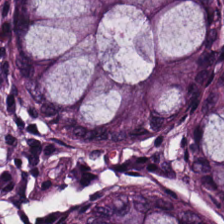Brightfield; H&E-stained tissue section.
The tissue type is benign colonic mucosa.
